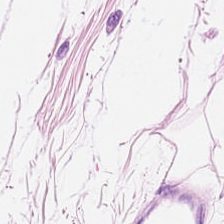Stain: H&E stain.
Predominant tissue: adipose.
